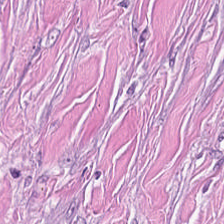Stain: hematoxylin-and-eosin stained section.
Tissue type: tumor stroma.
